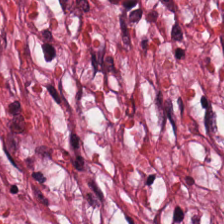Hematoxylin and eosin; 0.5 µm/px. This field is tumor stroma.
